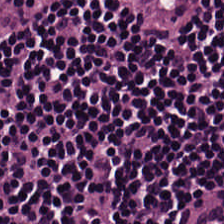Hematoxylin-and-eosin stained section. Finding — lymphocytes.
